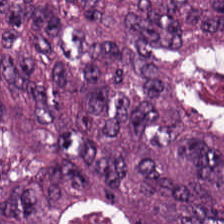H&E-stained tissue section showing adenocarcinoma.
